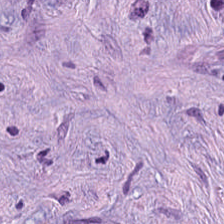Hematoxylin-and-eosin stained section. Showing desmoplastic stroma.
